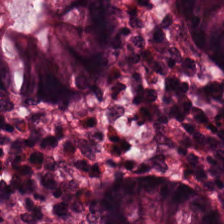Hematoxylin-and-eosin stained section. {"tissue_type": "normal colon mucosa"}
